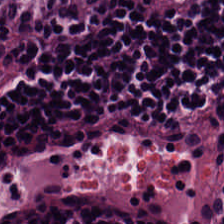Histology → lymphocytes.
